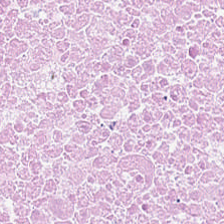Hematoxylin-and-eosin stained section. The tissue class is debris.
